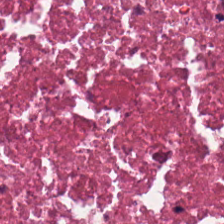0.5 µm/px; H&E stain. Predominantly cellular debris.
